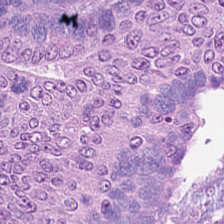H&E-stained tissue section.
Q: What does this patch show?
A: This is colorectal adenocarcinoma.
